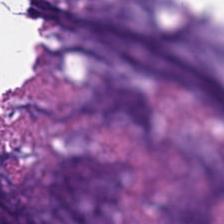Hematoxylin and eosin; 0.5 µm per pixel. Tissue type — mucus.
